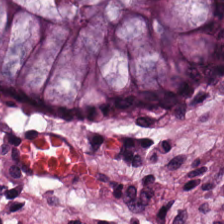224×224 pixel tile · formalin-fixed paraffin-embedded section · H&E stain — Classification: normal colon mucosa.
